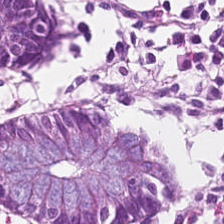H&E. Brightfield. The predominant tissue is normal colon mucosa.
